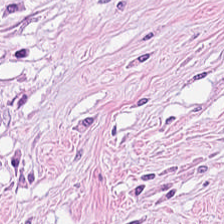FFPE tissue section; 224×224 px tile; hematoxylin-and-eosin stained section.
Desmoplastic stroma.
